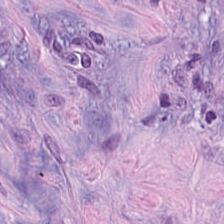Hematoxylin and eosin; 20× equivalent magnification; FFPE tissue section — The classification is desmoplastic stroma.
